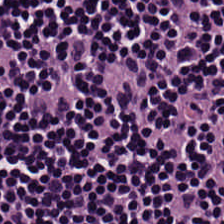H&E.
Tissue — lymphocyte aggregate.
